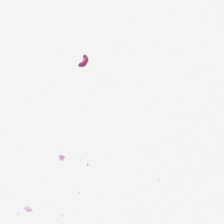224×224 pixel tile; H&E.
Finding — empty background.
